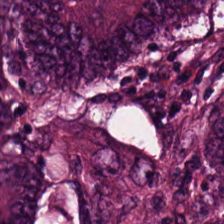Stain: H&E-stained tissue section.
Tile size: 224×224 px tile.
Predominant tissue: colorectal adenocarcinoma.
